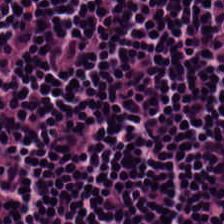Hematoxylin and eosin. Predominantly lymphocyte aggregate.
